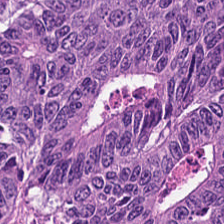H&E stain. This field is tumor epithelium.
